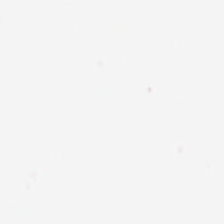Hematoxylin and eosin. Content — empty background.
